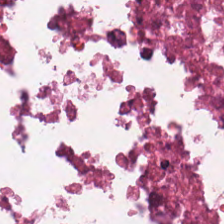Q: What tissue type is shown here?
A: This is debris.
